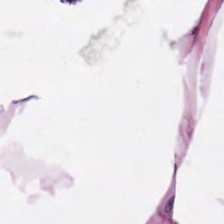Stain: hematoxylin and eosin.
Tissue type: adipose tissue.
